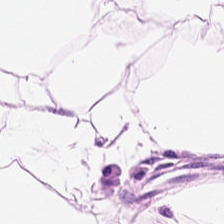Impression — fat tissue.
